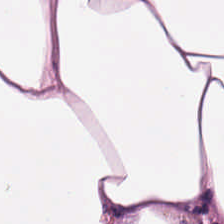Hematoxylin-and-eosin stained section. 224×224 px patch — Finding — adipose tissue.
